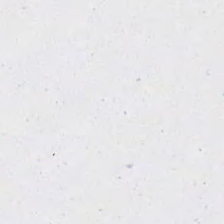224×224 px tile; H&E stain; WSI patch.
The field content is empty background.
